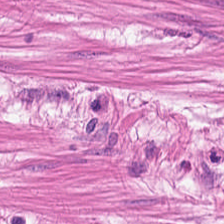Stain: H&E-stained tissue section.
Predominant tissue: smooth-muscle tissue.
